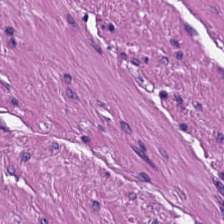H&E stain. Predominantly muscularis.
